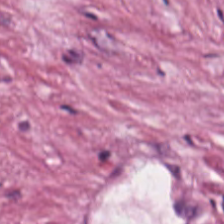H&E.
Q: What is shown here?
A: This is desmoplastic stroma.
